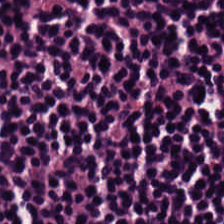WSI patch · hematoxylin and eosin · 0.5 µm per pixel — The tissue type is lymphocytic infiltrate.
